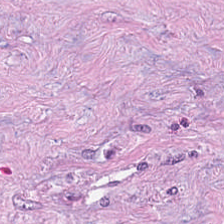H&E. Classification: tumor stroma.
